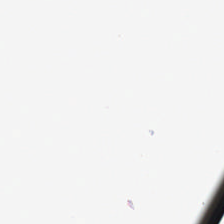Q: What does this patch show?
A: It is background.
